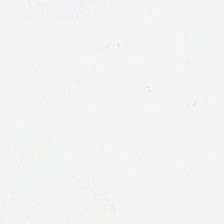No tissue present; background only.
